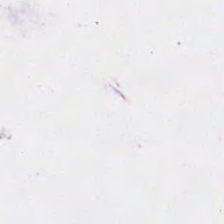Stain: H&E stain.
Field content: empty background.
